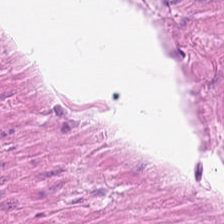0.5 µm/px; formalin-fixed paraffin-embedded section; hematoxylin and eosin. Predominantly smooth-muscle tissue.
